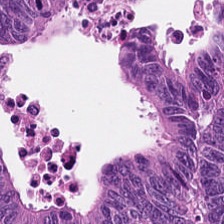Stain: H&E-stained tissue section.
Tissue type: colorectal adenocarcinoma.
